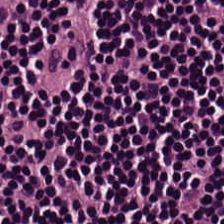Stain: H&E stain.
Preparation: FFPE.
Classification: lymphocyte aggregate.
